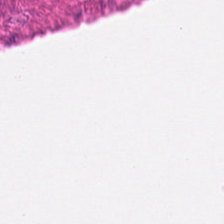{"tissue_type": "smooth muscle"}
